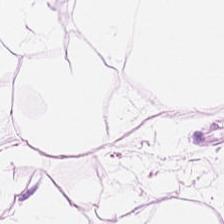H&E.
Histology → adipose tissue.
